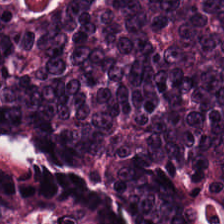Hematoxylin and eosin — Predominant tissue: colorectal adenocarcinoma epithelium.
